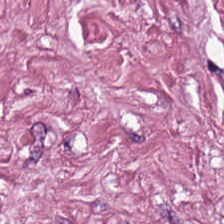Hematoxylin and eosin.
Classification — tumor-associated stroma.
